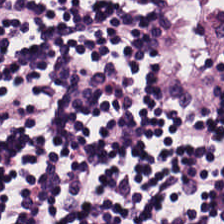Lymphocytic infiltrate.
